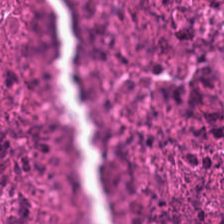Formalin-fixed paraffin-embedded section; whole-slide-image patch; H&E-stained tissue section — Tissue = cellular debris.
